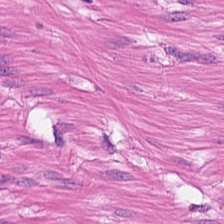H&E stain; brightfield; FFPE tissue section. This field is smooth muscle.
